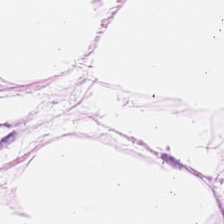224×224 px patch · formalin-fixed paraffin-embedded section · hematoxylin-and-eosin stained section — Histology → adipose tissue.
